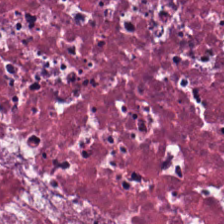Hematoxylin-and-eosin stained section — Predominantly cellular debris.
